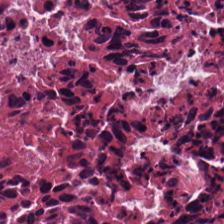H&E.
Showing necrotic debris.
